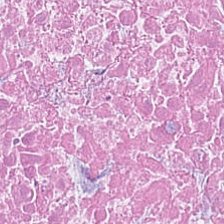This field is debris.
